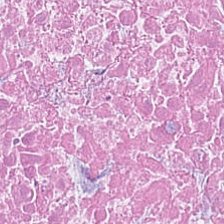This field is debris.
